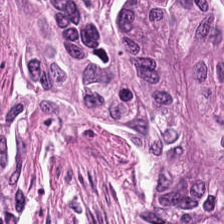H&E. The classification is tumor epithelium.
